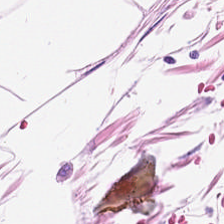H&E.
This patch shows fat tissue.
